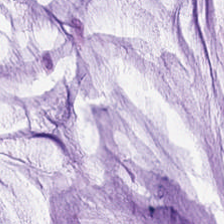H&E — Finding → extracellular mucin.
